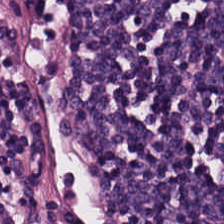H&E-stained tissue section; 0.5 µm/px.
The tissue here is lymphoid infiltrate.
